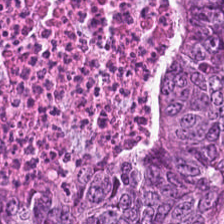224×224 px patch · H&E-stained tissue section · whole-slide-image patch. Tissue class — colorectal adenocarcinoma.
